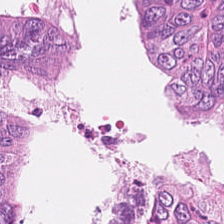Hematoxylin-and-eosin stained section. This patch shows malignant epithelium.
